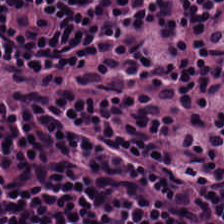224×224 px tile · hematoxylin and eosin — Q: What is the predominant tissue type?
A: Lymphocytes.
